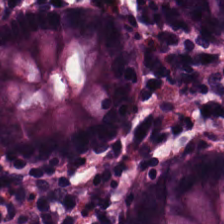20× equivalent magnification; hematoxylin-and-eosin stained section.
{"tissue_type": "normal colonic mucosa"}
